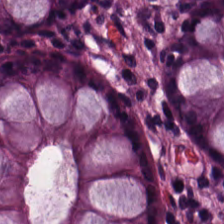Stain: hematoxylin and eosin.
Preparation: FFPE tissue section.
Tissue class: non-neoplastic colon mucosa.
